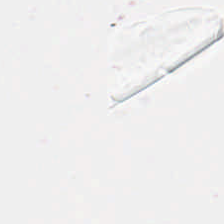224×224 pixel tile · H&E-stained tissue section. This patch shows background (no tissue).
